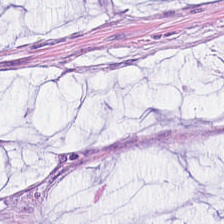0.5 microns per pixel; H&E stain; 224×224 px patch.
Predominant tissue — extracellular mucin.
